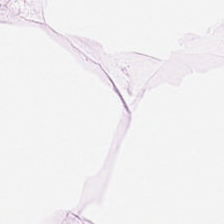H&E stain · 224×224 pixel tile · brightfield — The classification is adipose.
